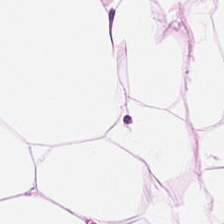Brightfield microscopy; H&E stain; FFPE tissue section.
{"tissue_type": "adipose tissue"}
